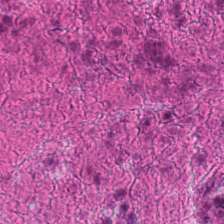H&E stain — Predominant tissue: cellular debris.
